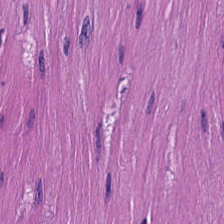224×224 px patch. H&E-stained tissue section — This field is smooth muscle.
